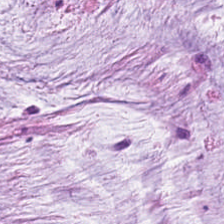0.5 microns per pixel · hematoxylin and eosin — Histology → extracellular mucin.
